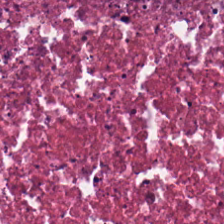H&E-stained tissue section.
Predominant tissue: debris.
